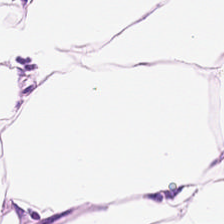Adipose tissue.
